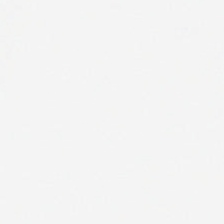H&E-stained tissue section. Empty field — no tissue.
